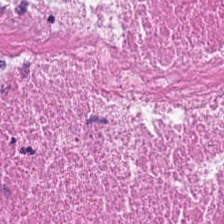H&E patch showing debris.
